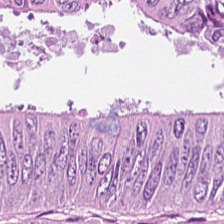Predominant tissue = adenocarcinoma.
